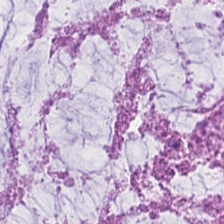H&E. Tissue type: mucus.
